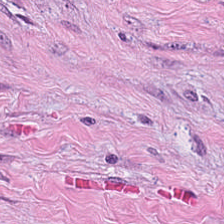Tumor stroma.
